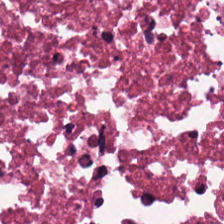Stain: hematoxylin and eosin.
Tile size: 224×224 px tile.
Acquisition: brightfield microscopy.
Predominant tissue: debris.
